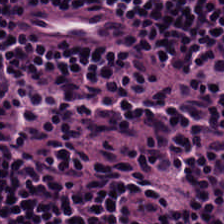WSI patch. Formalin-fixed paraffin-embedded section. H&E-stained tissue section. {"tissue_type": "lymphocytes"}
